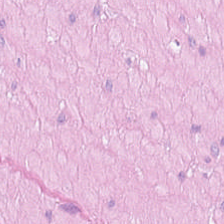H&E-stained tissue section · brightfield microscopy. Classification = muscularis.
